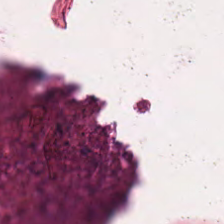Histology → debris.
